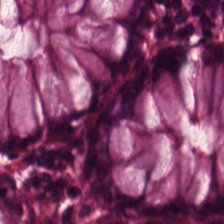Whole-slide-image patch. Hematoxylin-and-eosin stained section. {"tissue_type": "benign colonic mucosa"}
